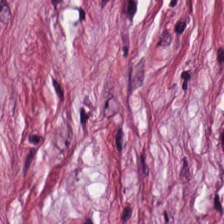H&E patch showing tumor-associated stroma.
